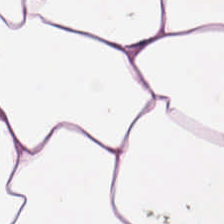The predominant tissue is adipose tissue.
